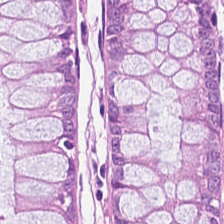0.5 µm/px · whole-slide-image patch · hematoxylin-and-eosin stained section — The predominant tissue is benign colonic mucosa.
